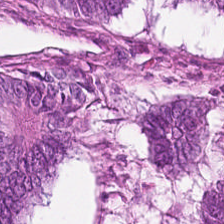H&E-stained tissue section.
Predominantly adenocarcinoma.
